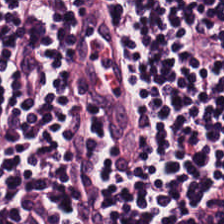Finding — lymphocyte aggregate.
